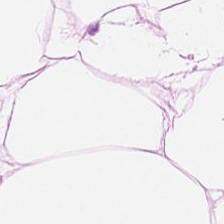Showing adipose tissue.
